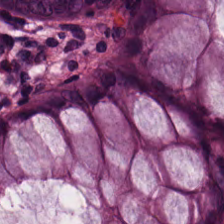Formalin-fixed paraffin-embedded section. H&E-stained tissue section. Non-neoplastic colon mucosa.
